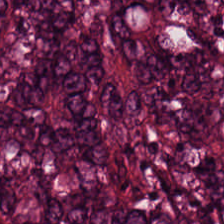Hematoxylin and eosin; FFPE tissue section.
This patch shows colorectal adenocarcinoma.
